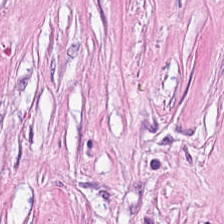224×224 px tile; FFPE; H&E stain — Classification = tumor-associated stroma.
